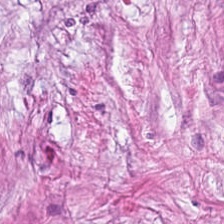H&E · FFPE tissue section.
Predominantly cancer-associated stroma.
